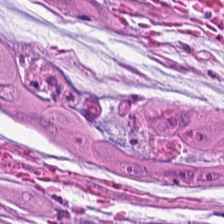H&E; 224×224 px patch; whole-slide-image patch.
{"tissue_type": "extracellular mucin"}
